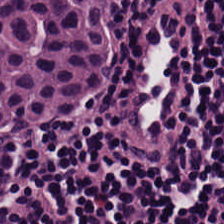WSI patch. H&E stain. {"tissue_type": "lymphocytes"}
